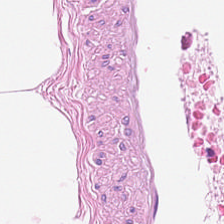Hematoxylin and eosin — Q: What does this patch show?
A: Adipose.
